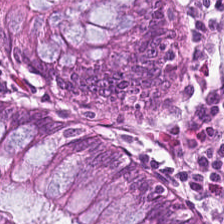224×224 px tile; hematoxylin-and-eosin stained section — {"tissue_type": "non-neoplastic colon mucosa"}
